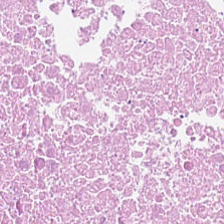FFPE tissue section · 0.5 µm per pixel · hematoxylin and eosin — Tissue = cellular debris.
